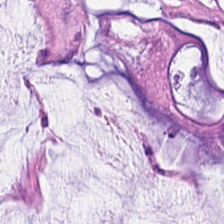Tissue class — mucus.
